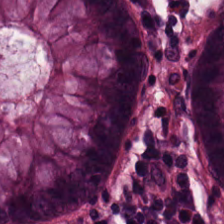H&E-stained section; the field shows normal colon mucosa.
